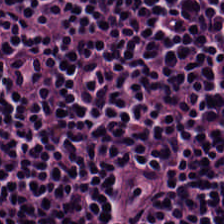{"tissue_type": "lymphocytic infiltrate"}
